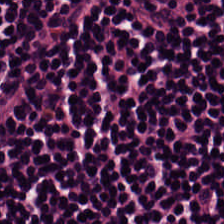H&E — The tissue class is lymphocytic infiltrate.
